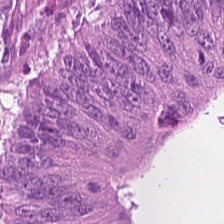Stain: hematoxylin and eosin.
Acquisition: brightfield.
Tissue: colorectal adenocarcinoma.
